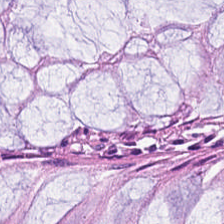Hematoxylin-and-eosin stained section — Normal colonic mucosa.
